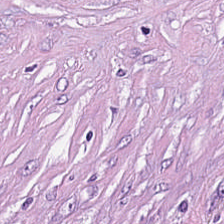Hematoxylin and eosin — Predominantly cancer-associated stroma.
